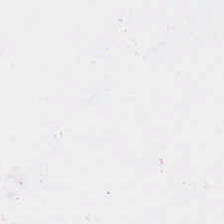No tissue present; background only.
